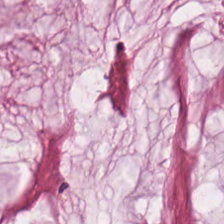H&E. FFPE tissue section.
Mucin.
